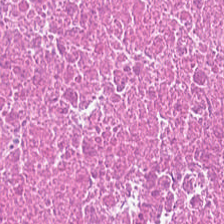H&E · 224×224 pixel tile — Predominant tissue — debris.
